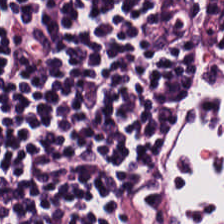H&E-stained tissue section. 224×224 px patch.
Predominant tissue: lymphocytes.
